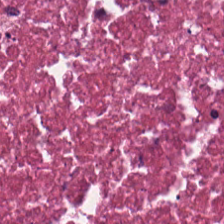Hematoxylin-and-eosin stained section — Tissue class = necrotic debris.
